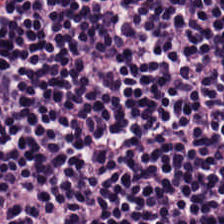224×224 px tile. H&E stain. The predominant tissue is lymphocyte aggregate.
